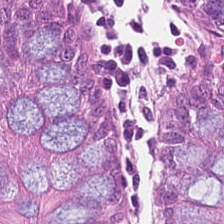0.5 microns per pixel; H&E-stained tissue section — Q: What is the predominant tissue type?
A: It is benign colonic mucosa.
